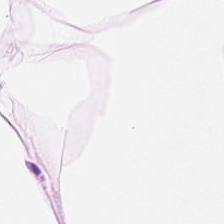H&E-stained tissue section showing adipocytes.
